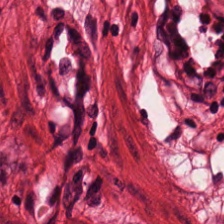FFPE · H&E-stained tissue section. Q: What is shown here?
A: This is smooth muscle.
